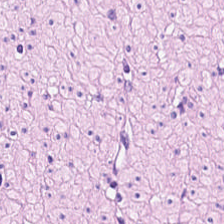Stain: hematoxylin-and-eosin stained section.
Resolution: 0.5 µm per pixel.
Preparation: FFPE tissue section.
Tissue class: smooth-muscle tissue.
